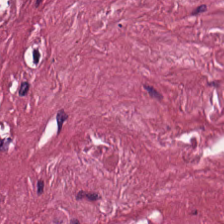H&E. The predominant tissue is cancer-associated stroma.
